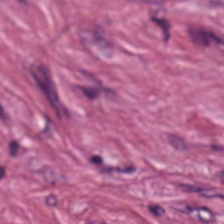H&E — Q: What is the predominant tissue type?
A: Tumor-associated stroma.
